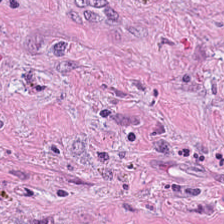Impression — tumor-associated stroma.
